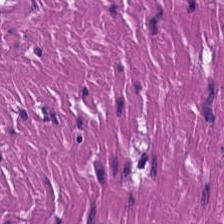Stain: H&E stain.
Predominant tissue: smooth-muscle tissue.
